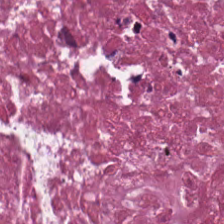Hematoxylin and eosin; 20× equivalent magnification. The classification is cellular debris.
